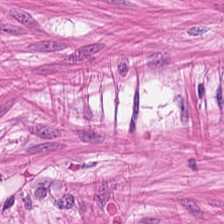H&E. 224×224 px patch — Q: Identify the tissue.
A: The field shows smooth-muscle tissue.
